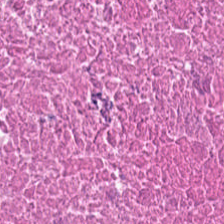Stain: H&E.
Preparation: formalin-fixed paraffin-embedded section.
Tile size: 224×224 pixel tile.
Tissue type: debris.
